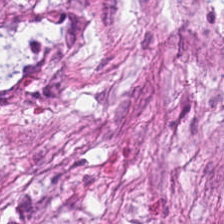H&E-stained tissue section.
This field is desmoplastic stroma.
